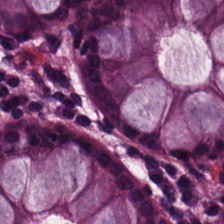Hematoxylin-and-eosin stained section; whole-slide-image patch; 0.5 µm per pixel. Tissue class: normal colon mucosa.
